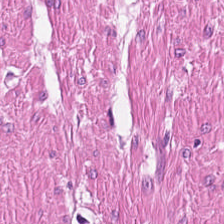Tissue class — muscularis.
